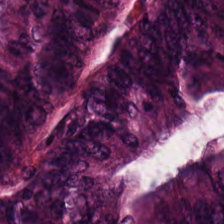Hematoxylin and eosin. Brightfield microscopy. 224×224 px tile — Histology → colorectal adenocarcinoma.
